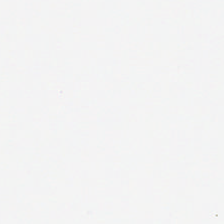H&E-stained tissue section. Q: What is shown here?
A: It is no tissue.
